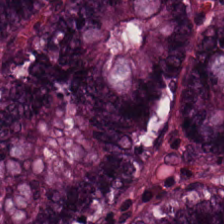Stain: H&E-stained tissue section.
Tissue: benign colonic mucosa.
